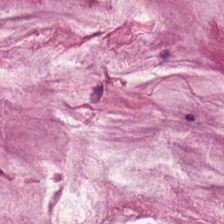0.5 µm/px. H&E-stained tissue section.
Tissue — mucin.
